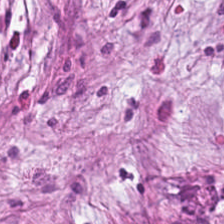Tissue: tumor stroma.
